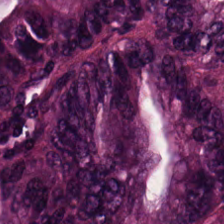H&E — Predominant tissue: colorectal adenocarcinoma.
